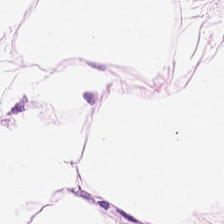H&E stain. Tissue — adipocytes.
